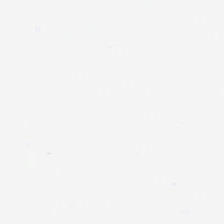Finding → no tissue.
